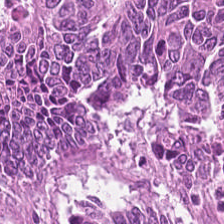H&E stain. The predominant tissue is malignant epithelium.
